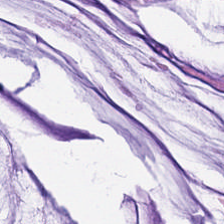Q: What is the predominant tissue type?
A: Mucin.
